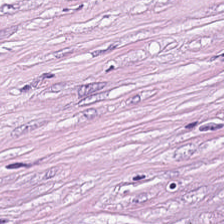224×224 px tile. Formalin-fixed paraffin-embedded section. Hematoxylin and eosin. This field is desmoplastic stroma.
